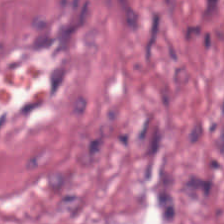Stain: H&E.
Tissue type: tumor-associated stroma.
